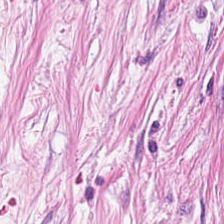H&E stain — {"tissue_type": "desmoplastic stroma"}
